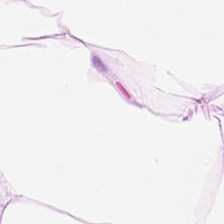Hematoxylin-and-eosin stained section; WSI patch; 0.5 µm per pixel.
Showing adipose tissue.
